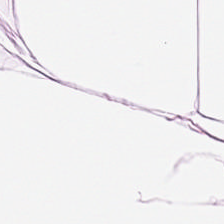H&E stain.
This patch shows adipocytes.
